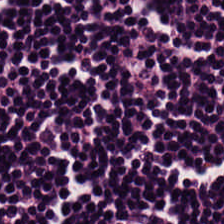Hematoxylin and eosin. The tissue class is lymphocytic infiltrate.
